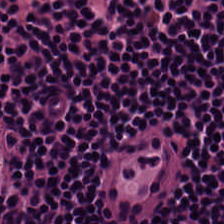{"tissue_type": "lymphocyte aggregate"}
